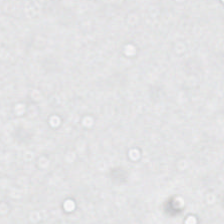Brightfield. 224×224 px patch. H&E stain.
Empty field — background.
